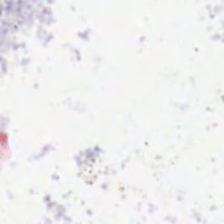H&E stain.
Empty field — background (no tissue).
